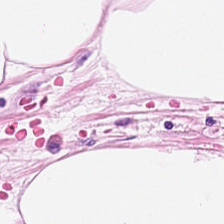Whole-slide-image patch · H&E-stained tissue section — Adipocytes.
